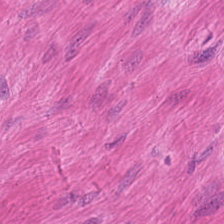224×224 pixel tile; H&E-stained tissue section. Classification = smooth-muscle tissue.
